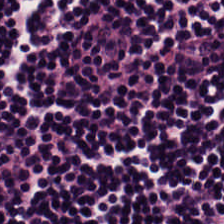Hematoxylin-and-eosin stained section. Whole-slide-image patch. 0.5 microns per pixel — Tissue — lymphoid infiltrate.
